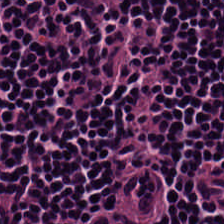Hematoxylin-and-eosin stained section — Finding — lymphocyte aggregate.
